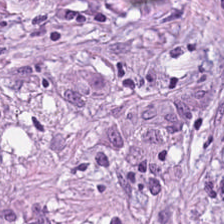Hematoxylin-and-eosin stained section — Desmoplastic stroma.
